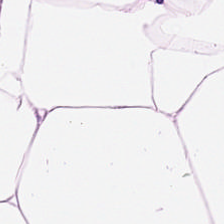H&E-stained tissue section. Brightfield — Q: What tissue type is shown here?
A: This is adipose.
